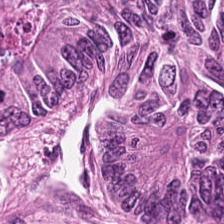The predominant tissue is colorectal adenocarcinoma epithelium.
